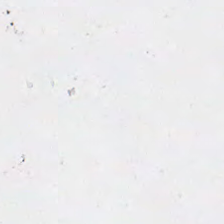Hematoxylin-and-eosin stained section — The classification is background (no tissue).
